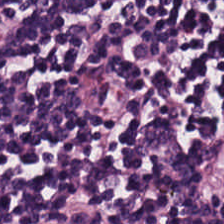H&E patch showing lymphocytes.
